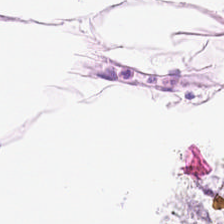Stain: H&E stain.
Tissue: adipose.
